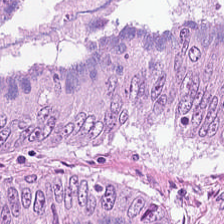Tissue type = adenocarcinoma.
